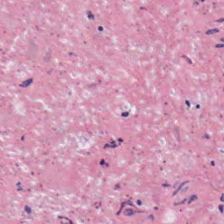H&E-stained tissue section. Q: What is shown in this field?
A: It is necrotic debris.
